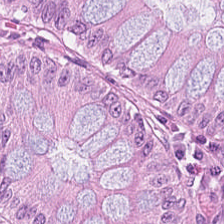Stain: H&E-stained tissue section.
Resolution: 0.5 µm per pixel.
Tile size: 224×224 pixel tile.
Tissue class: benign colonic mucosa.
